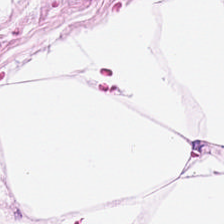H&E stain · 224×224 px patch.
Histology — fat tissue.
